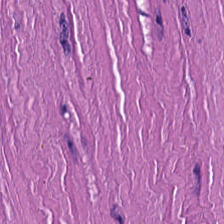H&E. 224×224 px patch. Tissue class: smooth-muscle tissue.
